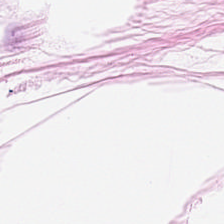H&E; 224×224 px tile. Q: What is the predominant tissue type?
A: It is adipocytes.
